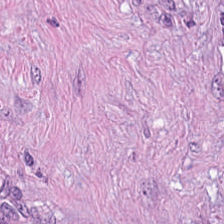H&E stain · formalin-fixed paraffin-embedded section. Tissue class — tumor-associated stroma.
